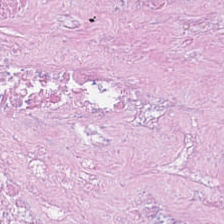Tissue class — debris.
